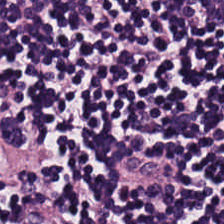H&E. 0.5 microns per pixel. 224×224 px patch. Lymphocytes.
